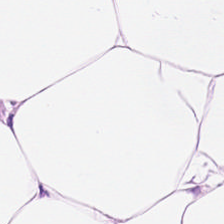Hematoxylin-and-eosin stained section. 224×224 pixel tile — This field is adipose.
